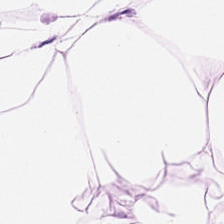H&E stain.
Showing adipose.
